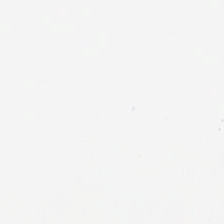Brightfield; formalin-fixed paraffin-embedded section; hematoxylin and eosin — Content: background.
